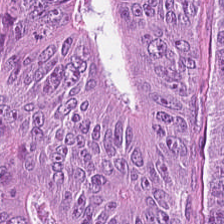Hematoxylin-and-eosin stained section.
Tissue — colorectal adenocarcinoma epithelium.
